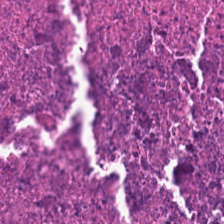Stain: hematoxylin and eosin.
Tissue: necrotic debris.
